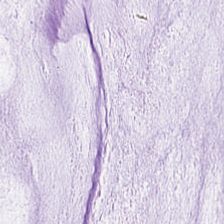H&E — {"tissue_type": "extracellular mucin"}
